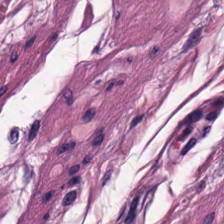H&E-stained tissue section — Tissue class = muscularis.
